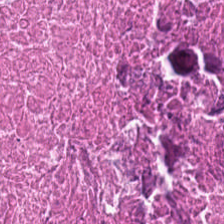Predominant tissue = necrotic debris.
